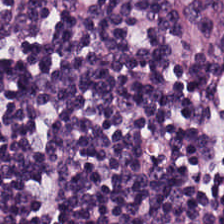Hematoxylin-and-eosin stained section.
Histology → lymphocyte aggregate.
